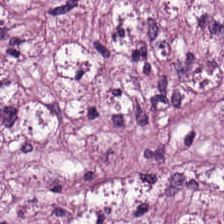H&E.
Histology — tumor-associated stroma.
